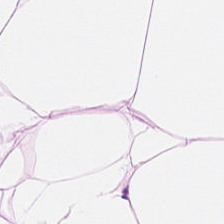Hematoxylin-and-eosin stained section — Showing adipose.
